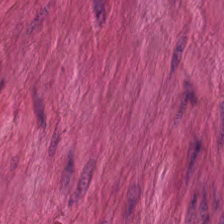Tissue type — muscularis.
